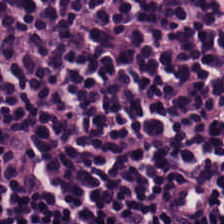Hematoxylin and eosin. Whole-slide-image patch. Histology → lymphoid infiltrate.
